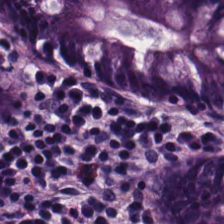H&E stain. Q: Identify the tissue.
A: Benign colonic mucosa.
